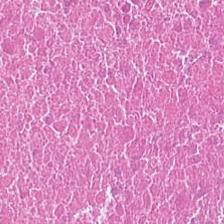Stain: hematoxylin-and-eosin stained section.
Resolution: 20× equivalent magnification.
Classification: necrotic debris.
